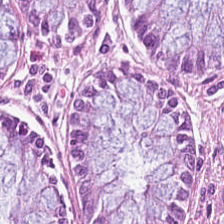H&E · 224×224 pixel tile · 0.5 µm per pixel — Q: What is shown here?
A: This is normal colonic mucosa.
